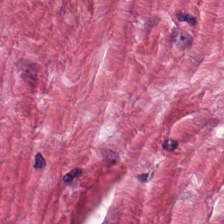Stain: H&E.
Acquisition: brightfield microscopy.
Predominant tissue: tumor stroma.
